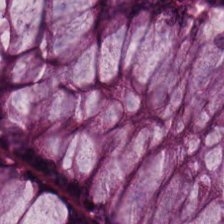The classification is normal colon mucosa.
